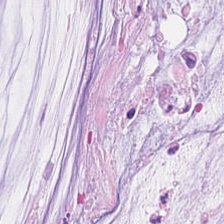H&E stain.
Tissue type: mucin.
